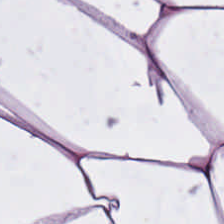Hematoxylin and eosin. 224×224 px tile — Fat tissue.
